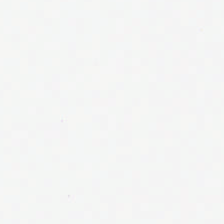FFPE tissue section. Hematoxylin and eosin. 20× equivalent magnification. Q: Classify this patch.
A: The field shows empty background.
